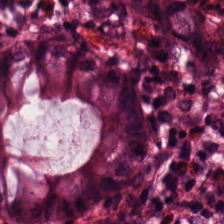Hematoxylin and eosin; formalin-fixed paraffin-embedded section — This patch shows non-neoplastic colon mucosa.
